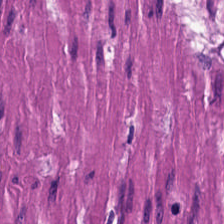Brightfield. Hematoxylin and eosin. Muscularis.
